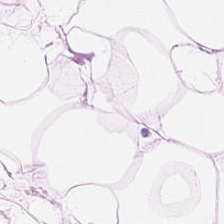Hematoxylin and eosin; FFPE; 224×224 px tile.
The classification is adipose.
